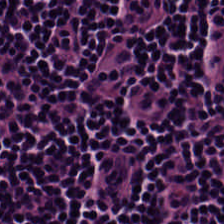FFPE tissue section. H&E-stained tissue section — Showing lymphocytes.
